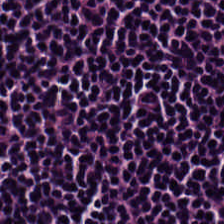Hematoxylin-and-eosin stained section · 0.5 µm per pixel · FFPE — Tissue class: lymphocytic infiltrate.
